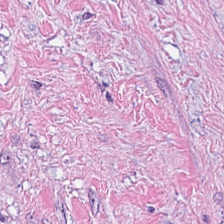H&E-stained tissue section — Impression → tumor-associated stroma.
